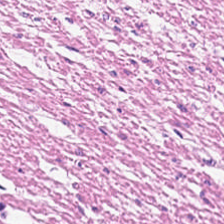Hematoxylin-and-eosin stained section — Predominantly muscularis.
